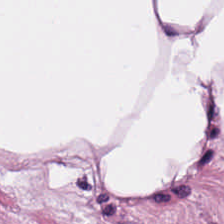Hematoxylin and eosin · 0.5 µm/px — Histology → adipose.
